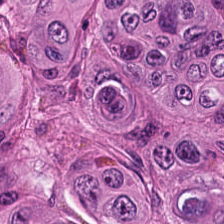Hematoxylin and eosin — Tissue type — adenocarcinoma.
